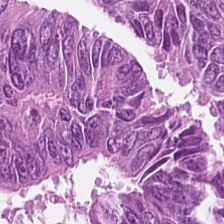The tissue here is colorectal adenocarcinoma epithelium.
